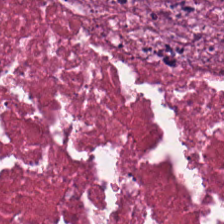H&E-stained tissue section. Q: What is shown here?
A: The field shows necrotic debris.
